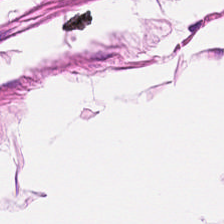Hematoxylin and eosin.
Predominantly smooth-muscle tissue.
